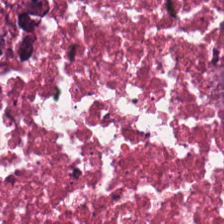224×224 pixel tile. Brightfield microscopy. H&E-stained tissue section — Classification = necrotic debris.
